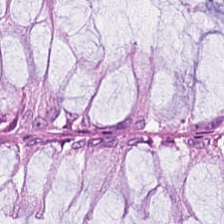H&E stain. 224×224 pixel tile.
Predominantly non-neoplastic colon mucosa.
